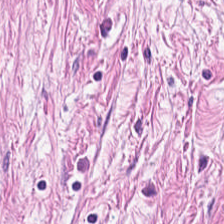FFPE · H&E · 224×224 pixel tile.
The predominant tissue is tumor-associated stroma.
